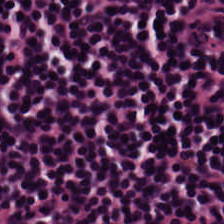Stain: H&E stain.
Tissue class: lymphocyte aggregate.
